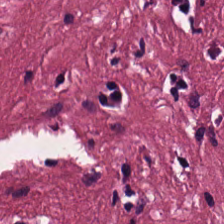Stain: hematoxylin and eosin.
Tissue class: tumor-associated stroma.
